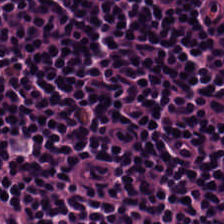Hematoxylin and eosin.
Tissue type — lymphocytes.
